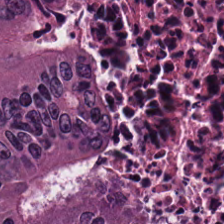Hematoxylin-and-eosin section: malignant epithelium.
